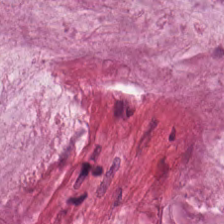H&E · 224×224 px tile.
This patch shows extracellular mucin.
